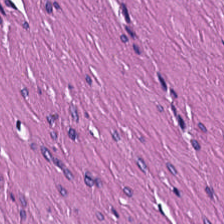H&E stain · 20× equivalent magnification. Tissue: smooth muscle.
